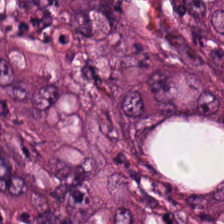H&E-stained tissue section. 0.5 microns per pixel.
This field is colorectal adenocarcinoma.
